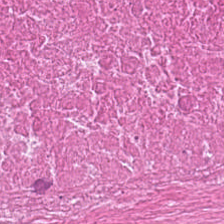H&E-stained tissue section. Q: Classify this patch.
A: This is debris.
